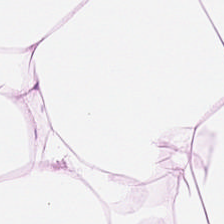H&E. Brightfield. 0.5 microns per pixel — The predominant tissue is adipocytes.
